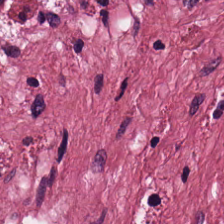20× equivalent magnification · H&E-stained tissue section.
Finding — tumor-associated stroma.
